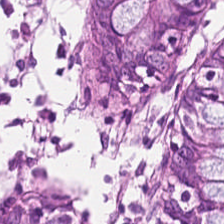FFPE. H&E. 20× equivalent magnification.
Showing non-neoplastic colon mucosa.
